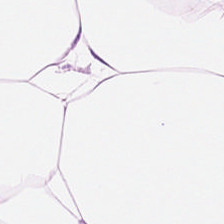This field is adipose tissue.
